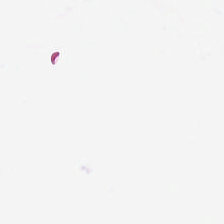H&E stain — No tissue.
